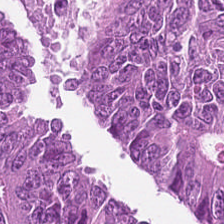H&E stain.
Histology — colorectal adenocarcinoma epithelium.
